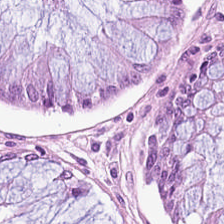H&E.
Tissue class = normal colonic mucosa.
